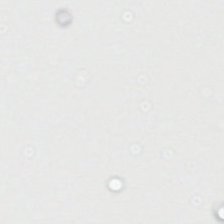Hematoxylin and eosin · WSI patch · 0.5 µm per pixel. Q: What is shown in this field?
A: No tissue.
